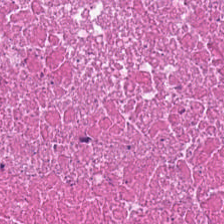Hematoxylin and eosin; whole-slide-image patch — Tissue = necrotic debris.
